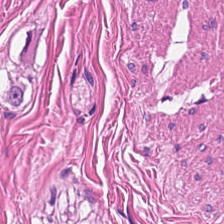FFPE tissue section; hematoxylin-and-eosin stained section; brightfield — Tissue — smooth-muscle tissue.
